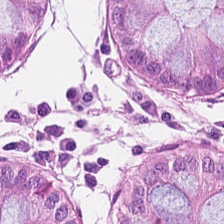H&E stain. This field is benign colonic mucosa.
